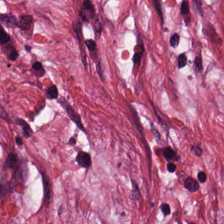Hematoxylin-and-eosin stained section.
Showing tumor-associated stroma.
